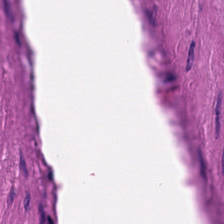Stain: H&E-stained tissue section.
Preparation: FFPE.
Classification: muscularis.
